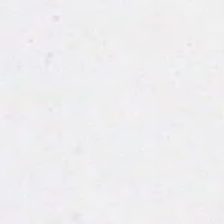Hematoxylin-and-eosin stained section — Q: Classify this patch.
A: It is background (no tissue).
